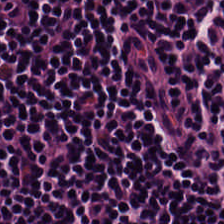Hematoxylin and eosin; 20× equivalent magnification.
The predominant tissue is lymphocyte aggregate.
